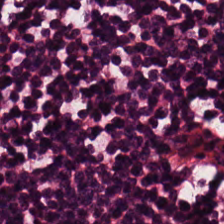Hematoxylin-and-eosin stained section; FFPE tissue section — Lymphocyte aggregate.
